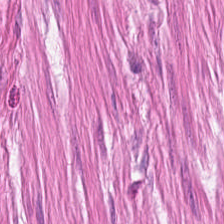H&E-stained tissue section. Predominant tissue = muscularis.
